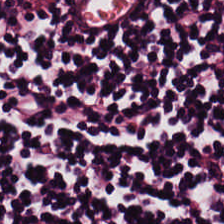The tissue here is lymphocytic infiltrate.
